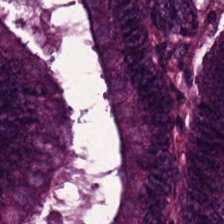Hematoxylin-and-eosin stained section; 0.5 µm per pixel.
This field is colorectal adenocarcinoma.
